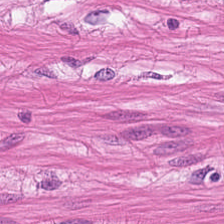{"tissue_type": "muscularis"}
